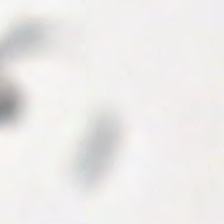Empty field — no tissue.
